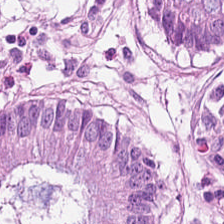Hematoxylin-and-eosin stained section · brightfield.
Histology — normal colon mucosa.
